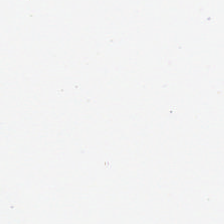Q: What is shown here?
A: It is background (no tissue).
